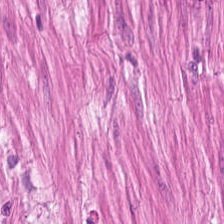H&E stain. 224×224 pixel tile.
Finding → smooth-muscle tissue.
